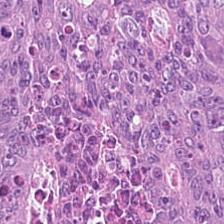H&E-stained tissue section; 0.5 microns per pixel. The classification is malignant epithelium.
